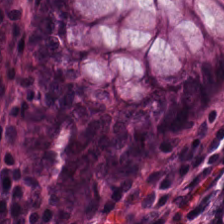H&E-stained tissue section — Predominantly normal colonic mucosa.
